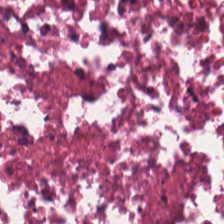H&E stain. FFPE — Q: What is the predominant tissue type?
A: The field shows debris.
